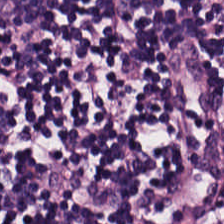H&E-stained tissue section. FFPE tissue section — Predominantly lymphoid infiltrate.
